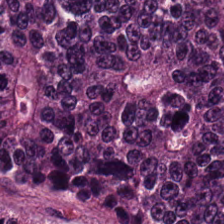The tissue type is colorectal adenocarcinoma epithelium.
